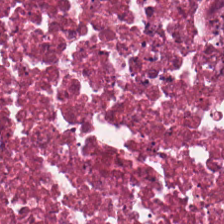H&E stain.
Tissue class: necrotic debris.
